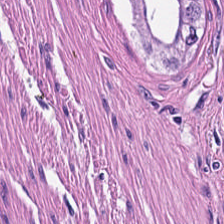224×224 px tile. H&E-stained tissue section — The tissue class is muscularis.
